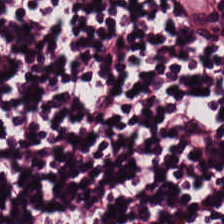H&E. Q: What is shown here?
A: Lymphoid infiltrate.
